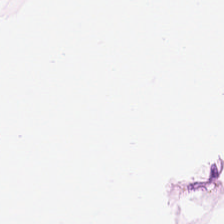Stain: hematoxylin-and-eosin stained section.
Acquisition: WSI patch.
Tissue type: adipose tissue.
